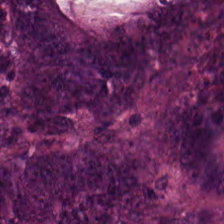Hematoxylin-and-eosin stained section. Q: What is shown here?
A: Malignant epithelium.
